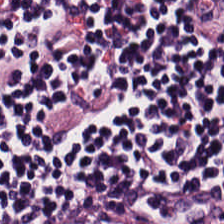H&E stain — Q: What is the predominant tissue type?
A: The field shows lymphocyte aggregate.
